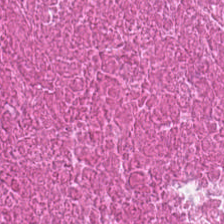H&E-stained tissue section.
This patch shows necrotic debris.
